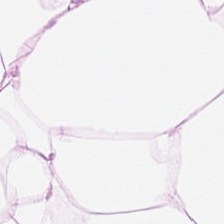H&E · 224×224 px tile.
The tissue class is fat tissue.
